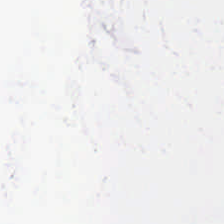Stain: H&E.
Field content: background (no tissue).
